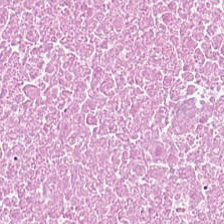Hematoxylin and eosin. 224×224 pixel tile. 0.5 microns per pixel.
Cellular debris.
